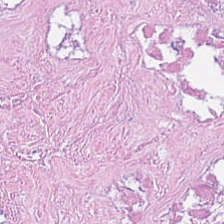Stain: hematoxylin-and-eosin stained section.
Predominant tissue: debris.
